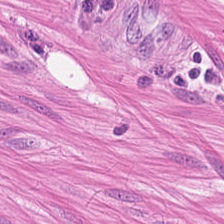H&E stain — The predominant tissue is smooth-muscle tissue.
